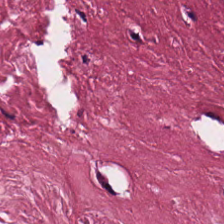H&E-stained tissue section. Desmoplastic stroma.
